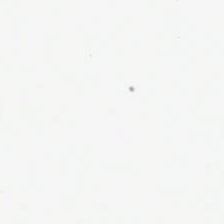Stain: H&E stain.
Preparation: FFPE.
Field content: background (no tissue).
